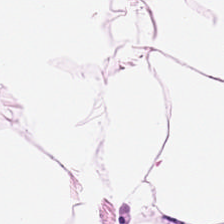H&E-stained tissue section.
Impression → adipocytes.
